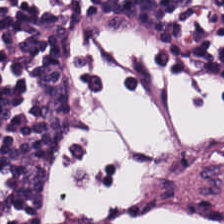H&E stain — {"tissue_type": "lymphocyte aggregate"}
